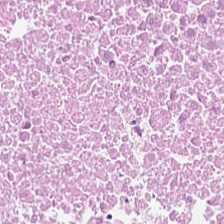0.5 µm/px · H&E.
Q: What is shown in this field?
A: This is cellular debris.
